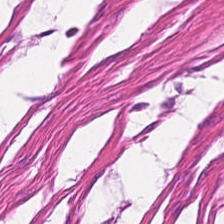Stain: hematoxylin and eosin.
Tissue: muscularis.
